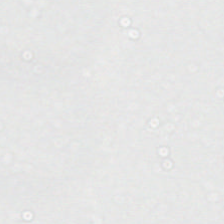Brightfield microscopy; hematoxylin-and-eosin stained section. This field is background (no tissue).
